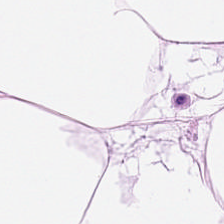Hematoxylin and eosin. 0.5 µm/px. Q: Classify this patch.
A: This is adipocytes.
